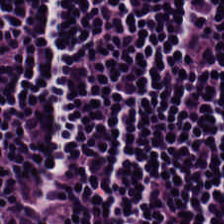FFPE; hematoxylin-and-eosin stained section — Q: What is the predominant tissue type?
A: The field shows lymphoid infiltrate.
